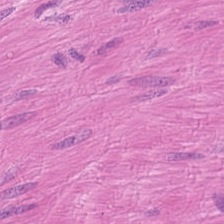{"tissue_type": "muscularis"}
